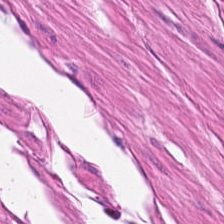Stain: hematoxylin and eosin.
Tile size: 224×224 px patch.
Tissue: smooth-muscle tissue.
